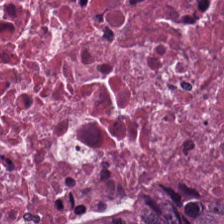H&E-stained tissue section.
The predominant tissue is cellular debris.
